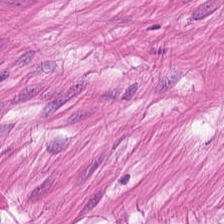H&E. 224×224 pixel tile. WSI patch. Predominantly smooth-muscle tissue.
